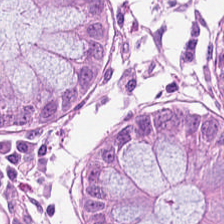Hematoxylin-and-eosin stained section · FFPE tissue section · 224×224 pixel tile — Finding — benign colonic mucosa.
